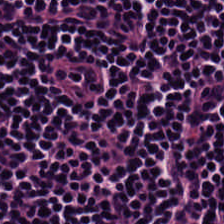{"tissue_type": "lymphocyte aggregate"}
